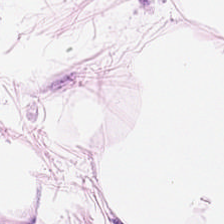224×224 pixel tile. Hematoxylin-and-eosin stained section.
Classification — adipose.
